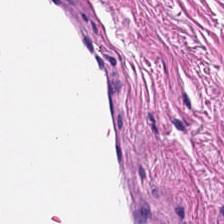Brightfield. FFPE. H&E-stained tissue section. Impression — smooth-muscle tissue.
